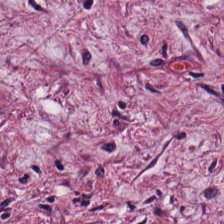The predominant tissue is desmoplastic stroma.
